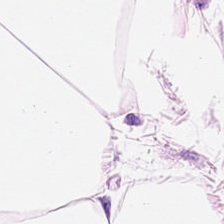H&E stain. Tissue type — fat tissue.
